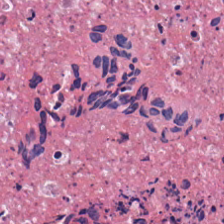0.5 µm per pixel; H&E stain; whole-slide-image patch.
Showing necrotic debris.
